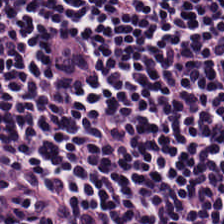Hematoxylin-and-eosin stained section — Q: What tissue is shown?
A: It is lymphocytic infiltrate.
